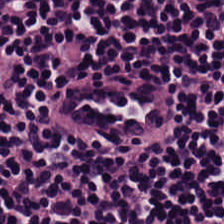Q: What type of tissue is this?
A: Lymphoid infiltrate.
